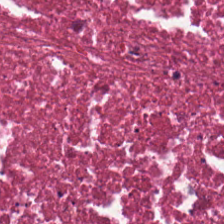Hematoxylin-and-eosin section: debris.
